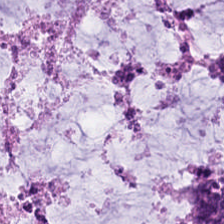Formalin-fixed paraffin-embedded section · 224×224 px patch · H&E.
Histology → mucus.
